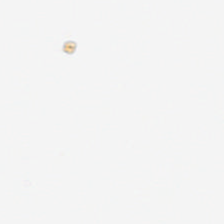20× equivalent magnification. Formalin-fixed paraffin-embedded section. Hematoxylin-and-eosin stained section.
Finding → background (no tissue).
